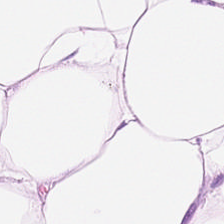Hematoxylin-and-eosin stained section.
This field is adipocytes.
